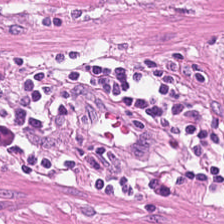H&E stain.
Showing muscularis.
